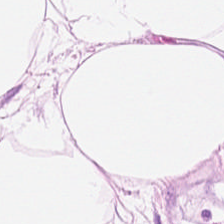{"tissue_type": "adipose tissue"}
